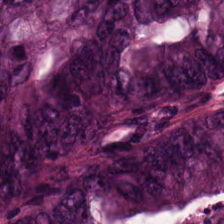224×224 pixel tile. H&E stain. 0.5 microns per pixel.
Q: Classify this patch.
A: It is malignant epithelium.
